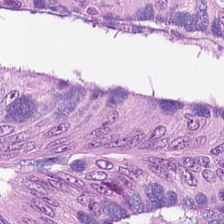Histology — colorectal adenocarcinoma.
